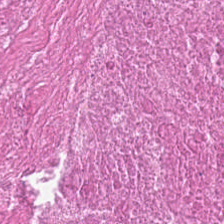0.5 microns per pixel; H&E stain; formalin-fixed paraffin-embedded section. The predominant tissue is cellular debris.
